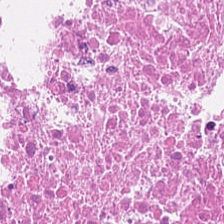H&E patch showing cellular debris.
